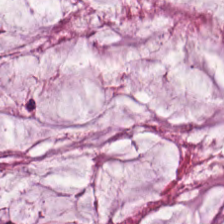Tissue type — mucus.
